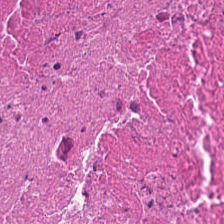H&E stain.
Q: What tissue is shown?
A: It is cellular debris.
